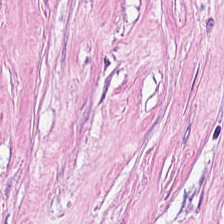Stain: H&E.
Resolution: 0.5 microns per pixel.
Tissue: tumor-associated stroma.
